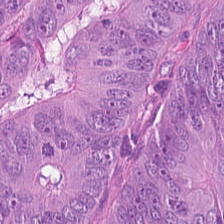Q: What does this patch show?
A: Colorectal adenocarcinoma.
